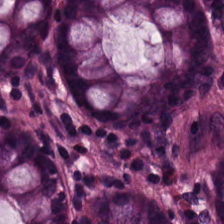H&E-stained tissue section.
Histology → benign colonic mucosa.
